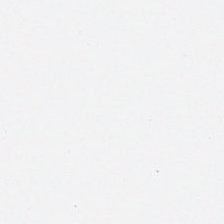Brightfield microscopy · hematoxylin and eosin. Field content = background.
